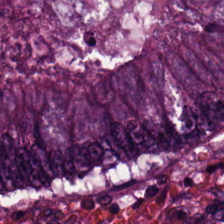0.5 µm per pixel. Hematoxylin-and-eosin stained section — Q: What type of tissue is this?
A: The field shows tumor epithelium.
